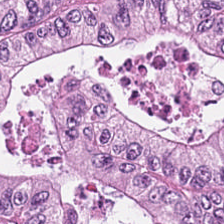WSI patch · H&E.
Predominantly colorectal adenocarcinoma epithelium.
